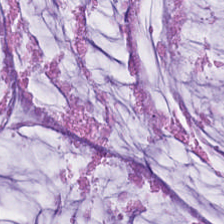Tissue type: mucus.
